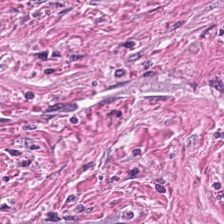Hematoxylin-and-eosin stained section. 0.5 µm per pixel.
Tissue — desmoplastic stroma.
